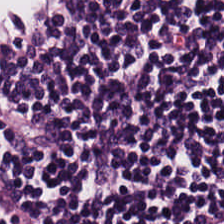Classification: lymphoid infiltrate.
